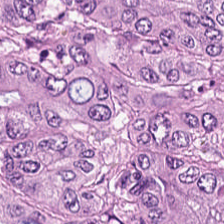H&E. Brightfield microscopy. The predominant tissue is adenocarcinoma.
